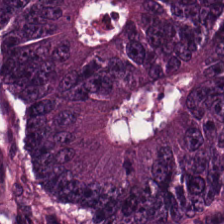Stain: H&E.
Resolution: 0.5 µm per pixel.
Preparation: FFPE tissue section.
Tissue class: malignant epithelium.
